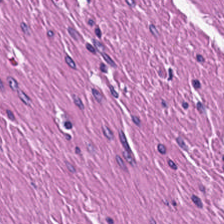H&E — This field is smooth-muscle tissue.
